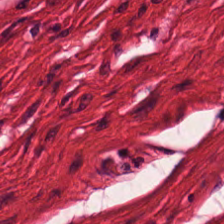Hematoxylin-and-eosin stained section. Finding → muscularis.
